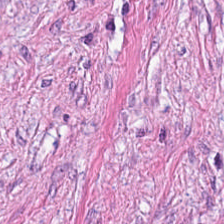0.5 microns per pixel; FFPE tissue section; hematoxylin and eosin.
The tissue type is cancer-associated stroma.
